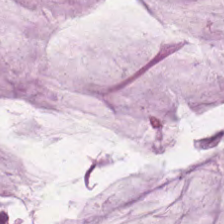H&E-stained section; the field shows extracellular mucin.
